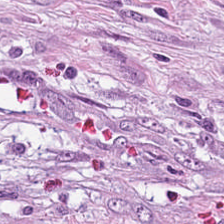224×224 px tile; H&E. Predominant tissue: tumor-associated stroma.
